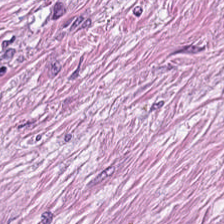H&E-stained tissue section. FFPE tissue section — Tissue type = tumor-associated stroma.
